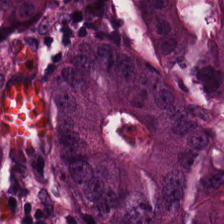Brightfield microscopy · hematoxylin-and-eosin stained section.
Q: Classify this patch.
A: Adenocarcinoma.
